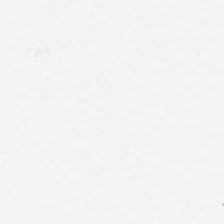Stain: H&E-stained tissue section.
Field content: no tissue.
